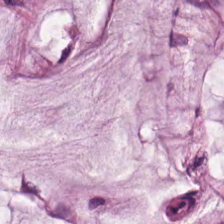H&E. Predominantly extracellular mucin.
